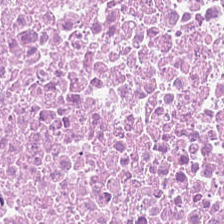H&E-stained tissue section. Tissue type = cellular debris.
